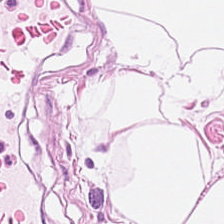Formalin-fixed paraffin-embedded section. 0.5 µm per pixel. H&E.
Q: What is shown here?
A: It is adipocytes.
